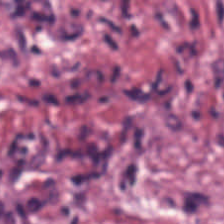The tissue here is cancer-associated stroma.
